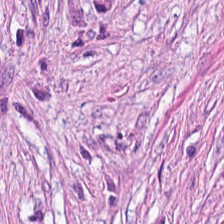Stain: H&E stain.
Tile size: 224×224 px patch.
Preparation: FFPE.
Tissue type: tumor-associated stroma.
